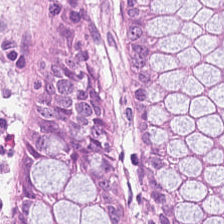Hematoxylin and eosin · 224×224 px tile. Q: Classify this patch.
A: The field shows non-neoplastic colon mucosa.
